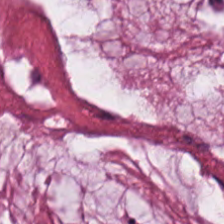H&E stain — {"tissue_type": "mucus"}
